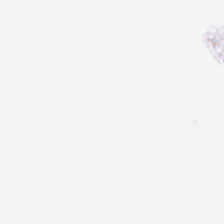Hematoxylin-and-eosin stained section.
The classification is background.
